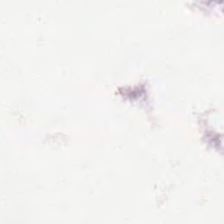0.5 µm per pixel. H&E stain. Brightfield — This patch shows background (no tissue).
